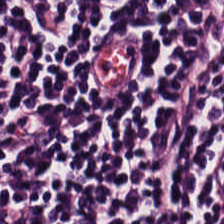WSI patch; FFPE tissue section; H&E stain. This field is lymphoid infiltrate.
